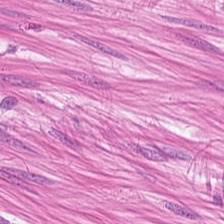Finding → smooth-muscle tissue.
